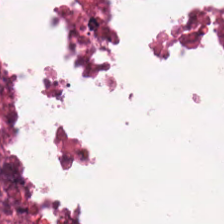Whole-slide-image patch; 224×224 px tile; H&E — This field is debris.
